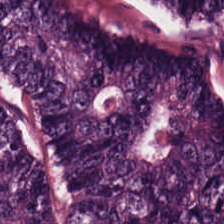224×224 px tile. Hematoxylin and eosin. 0.5 µm per pixel — Impression — tumor epithelium.
